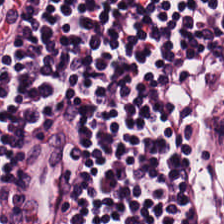The tissue here is lymphocytes.
